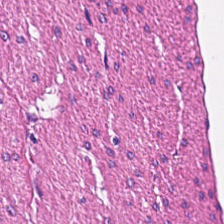Stain: H&E-stained tissue section.
Predominant tissue: smooth muscle.
